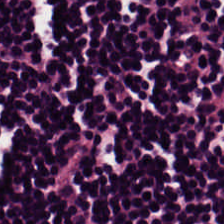Stain: H&E-stained tissue section.
Tissue: lymphocyte aggregate.
